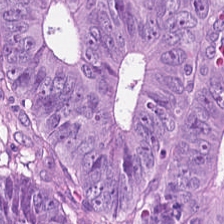Hematoxylin-and-eosin section: colorectal adenocarcinoma epithelium.
